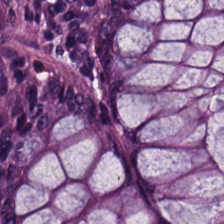Hematoxylin and eosin. 0.5 µm/px — This field is non-neoplastic colon mucosa.
